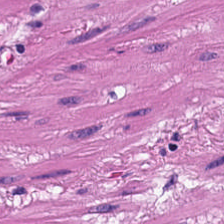Hematoxylin-and-eosin stained section; 0.5 microns per pixel. This field is smooth muscle.
